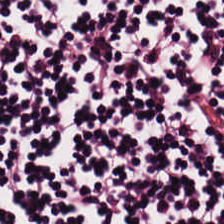Q: What is shown in this field?
A: This is lymphocytic infiltrate.
